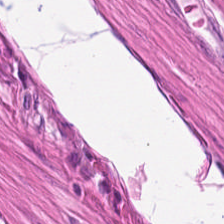H&E stain. Muscularis.
